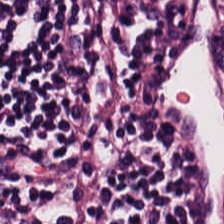H&E-stained tissue section.
Q: What is the predominant tissue type?
A: The field shows lymphocytic infiltrate.
